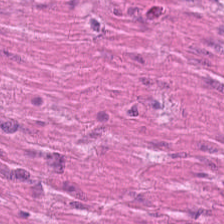H&E-stained tissue section. 0.5 microns per pixel — Q: Classify this patch.
A: This is smooth muscle.
